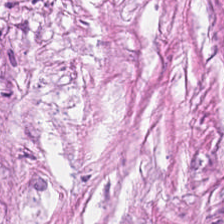H&E-stained tissue section. This patch shows tumor stroma.
